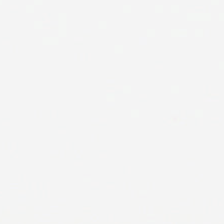This field is background (no tissue).
